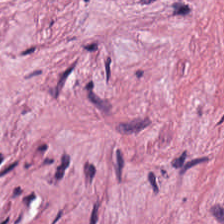H&E-stained tissue section. Predominantly tumor stroma.
